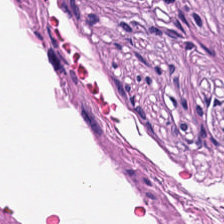H&E; brightfield microscopy; 0.5 µm per pixel — Tissue = smooth-muscle tissue.
